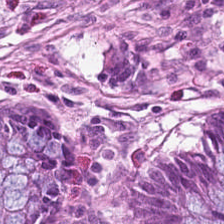Hematoxylin and eosin — This patch shows non-neoplastic colon mucosa.
